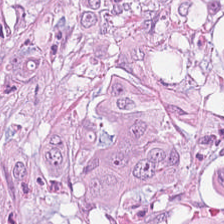FFPE tissue section. H&E — This patch shows colorectal adenocarcinoma epithelium.
